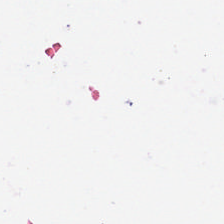Q: What is shown in this field?
A: Background (no tissue).
